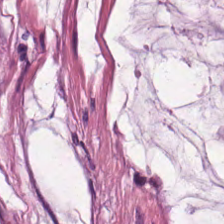Predominant tissue — extracellular mucin.
